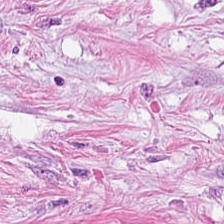H&E patch showing cancer-associated stroma.
